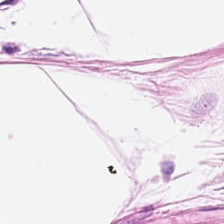Q: What type of tissue is this?
A: It is adipocytes.
